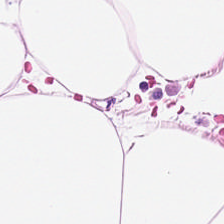Q: What is the predominant tissue type?
A: The field shows adipose tissue.
